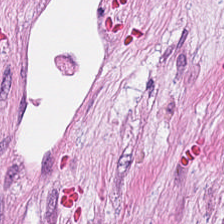H&E. Histology → cancer-associated stroma.
